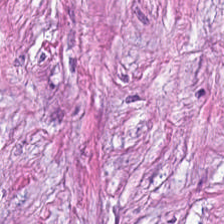Tissue = tumor stroma.
